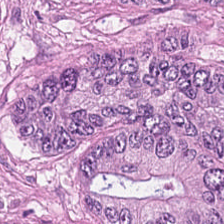H&E. FFPE.
Tissue class = colorectal adenocarcinoma epithelium.
